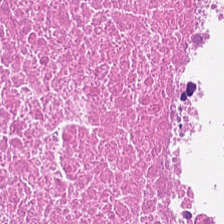0.5 µm per pixel · H&E stain — Debris.
